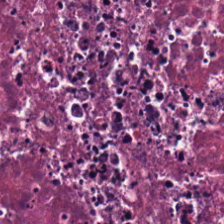H&E stain. WSI patch. FFPE tissue section.
The tissue here is necrotic debris.
